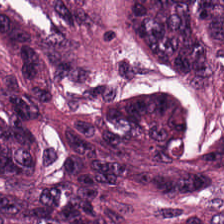H&E-stained tissue section. This patch shows malignant epithelium.
